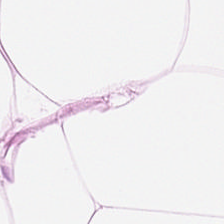Hematoxylin-and-eosin stained section; brightfield microscopy — Predominant tissue = adipose tissue.
